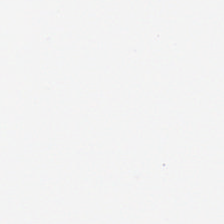Classification = empty background.
